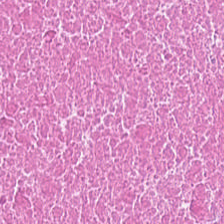H&E-stained tissue section.
Predominant tissue = cellular debris.
